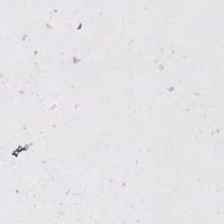H&E; FFPE — Content — background.
